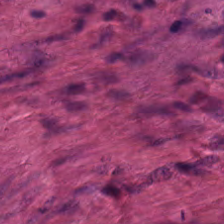Hematoxylin-and-eosin stained section.
Classification: muscularis.
